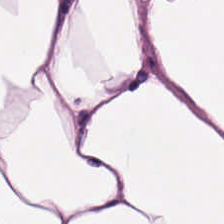H&E — adipose tissue.
